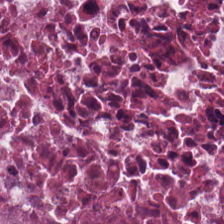Hematoxylin and eosin. The tissue here is debris.
